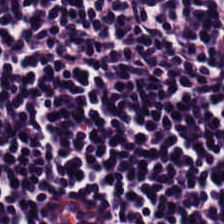Hematoxylin-and-eosin section: lymphocytes.
